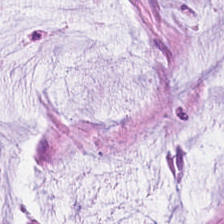Formalin-fixed paraffin-embedded section · hematoxylin-and-eosin stained section. Tissue type: mucin.
